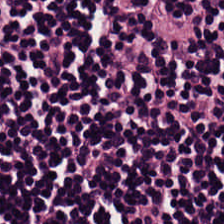FFPE. 0.5 microns per pixel. H&E — Q: What is the predominant tissue type?
A: This is lymphoid infiltrate.
